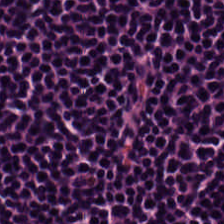H&E stain.
This field is lymphocyte aggregate.
